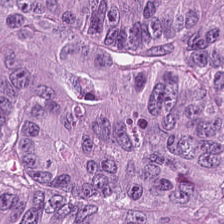0.5 µm/px; hematoxylin and eosin. Adenocarcinoma.
